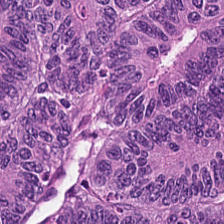Tissue type = malignant epithelium.
